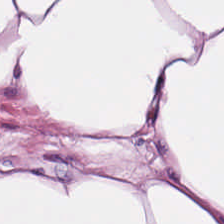H&E · brightfield. Impression → adipose tissue.
